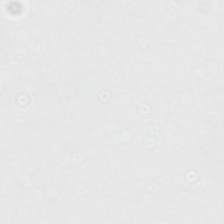Hematoxylin and eosin · WSI patch.
Q: What is shown here?
A: It is no tissue.
